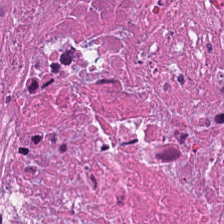Brightfield microscopy · hematoxylin-and-eosin stained section.
Predominant tissue: necrotic debris.
